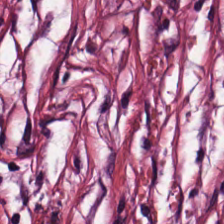This field is cancer-associated stroma.
